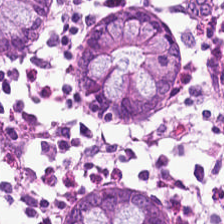H&E stain — This field is non-neoplastic colon mucosa.
